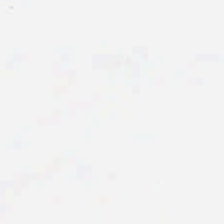H&E-stained tissue section — Histology → background (no tissue).
